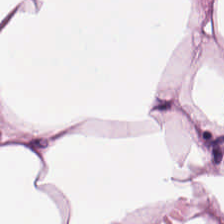Finding — fat tissue.
